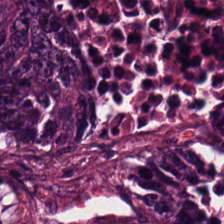H&E · FFPE tissue section.
Predominantly colorectal adenocarcinoma.
